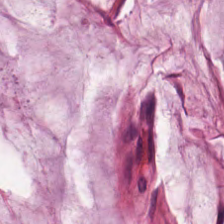Formalin-fixed paraffin-embedded section. H&E. Predominant tissue = extracellular mucin.
